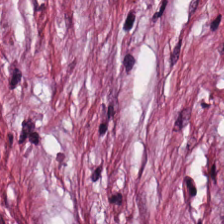H&E — Tissue class: desmoplastic stroma.
